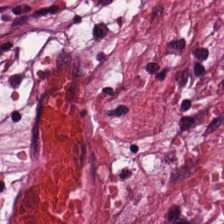Tissue class — tumor-associated stroma.
